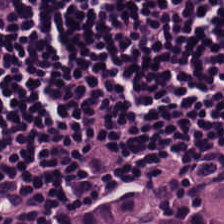H&E-stained tissue section.
Classification: lymphocytes.
